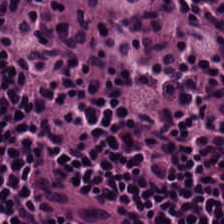Stain: H&E-stained tissue section.
Tile size: 224×224 px tile.
Tissue class: lymphocytic infiltrate.
